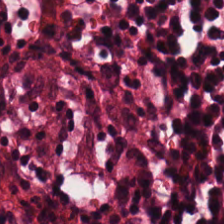H&E-stained tissue section.
Predominantly benign colonic mucosa.
